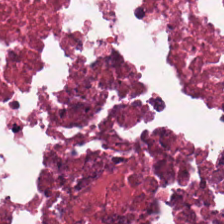224×224 px tile. H&E stain. 0.5 microns per pixel. Predominantly necrotic debris.
